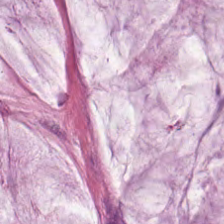Hematoxylin and eosin — Predominant tissue = extracellular mucin.
